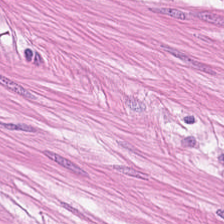H&E patch showing muscularis.
